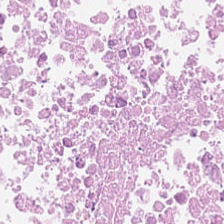Hematoxylin-and-eosin stained section.
The predominant tissue is necrotic debris.
